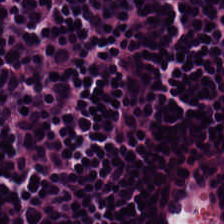Formalin-fixed paraffin-embedded section. 0.5 µm per pixel. H&E — Q: What tissue is shown?
A: Lymphoid infiltrate.
